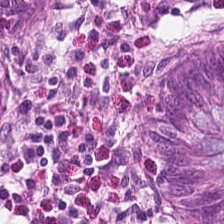This patch shows benign colonic mucosa.
